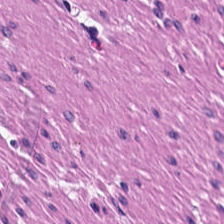Predominantly smooth-muscle tissue.
